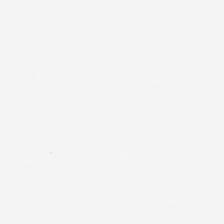{"content": "background (no tissue)"}
